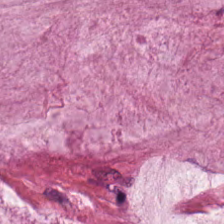Stain: hematoxylin-and-eosin stained section.
Tile size: 224×224 px patch.
Tissue class: mucin.
